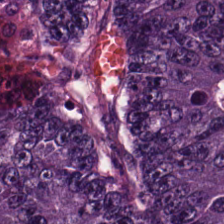Stain: hematoxylin-and-eosin stained section.
Tissue type: colorectal adenocarcinoma epithelium.
